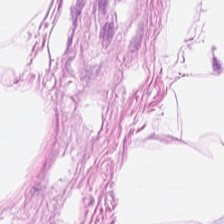H&E-stained tissue section — The tissue is adipose.
